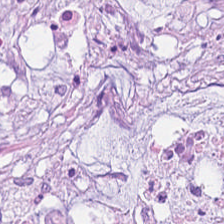Stain: hematoxylin and eosin.
Classification: mucus.
